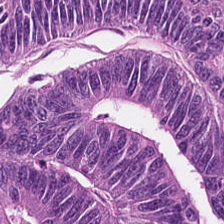Histology → adenocarcinoma.
